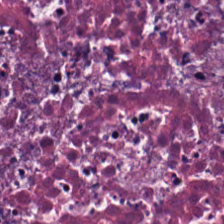Showing debris.
